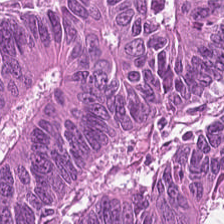H&E-stained tissue section.
This patch shows tumor epithelium.
